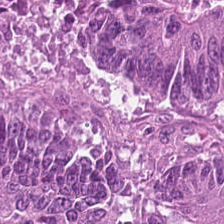0.5 microns per pixel · H&E · 224×224 px patch. Histology — adenocarcinoma.
